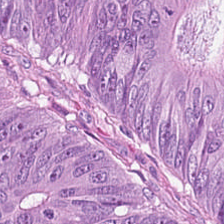H&E stain. Histology → colorectal adenocarcinoma.
